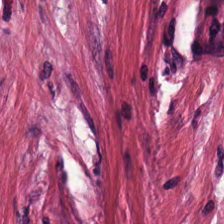FFPE tissue section. 224×224 px patch. H&E — Predominant tissue — tumor-associated stroma.
